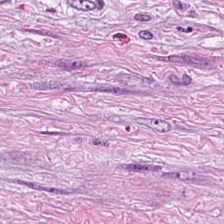Stain: H&E.
Predominant tissue: desmoplastic stroma.
